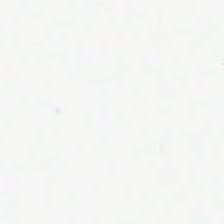Hematoxylin-and-eosin stained section — Empty background.
